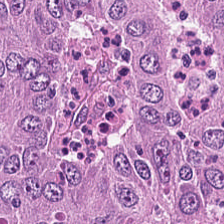Formalin-fixed paraffin-embedded section; whole-slide-image patch; hematoxylin-and-eosin stained section.
The tissue is adenocarcinoma.
